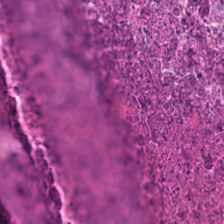Hematoxylin-and-eosin stained section. FFPE tissue section. The tissue is debris.
